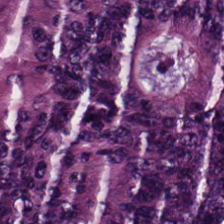WSI patch · hematoxylin and eosin · FFPE.
Showing adenocarcinoma.
